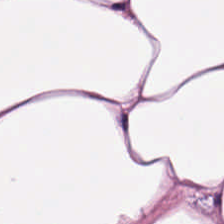Tissue class — fat tissue.
